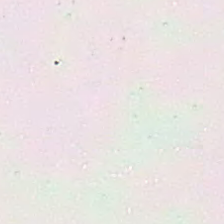0.5 microns per pixel · H&E-stained tissue section.
Content = no tissue.
